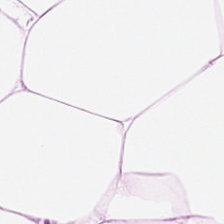H&E stain. Tissue type = adipocytes.
